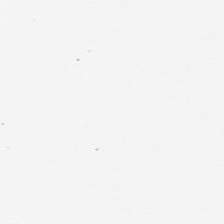Q: What does this patch show?
A: The field shows background.
